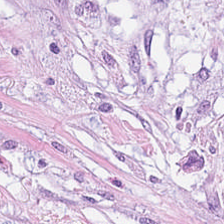Hematoxylin and eosin. Showing mucin.
